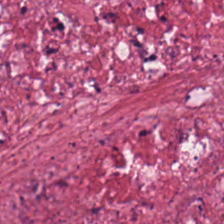Hematoxylin and eosin. 224×224 px tile. 0.5 microns per pixel — Q: Identify the tissue.
A: Tumor-associated stroma.
